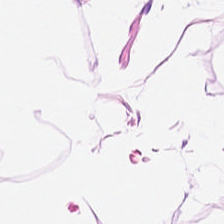H&E-stained tissue section. The predominant tissue is adipose.
